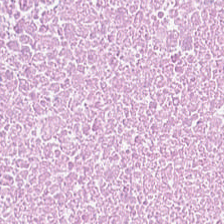Hematoxylin-and-eosin stained section. Formalin-fixed paraffin-embedded section — Tissue class = necrotic debris.
